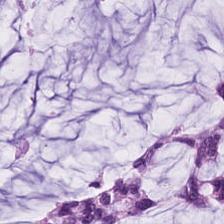H&E; formalin-fixed paraffin-embedded section.
Tissue class: mucin.
